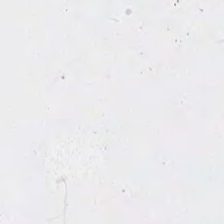Background.
